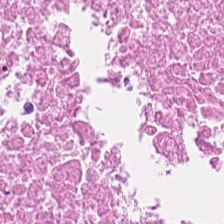Whole-slide-image patch. H&E stain — Predominantly cellular debris.
